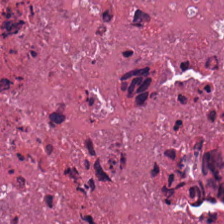Stain: H&E-stained tissue section.
Preparation: FFPE tissue section.
Acquisition: brightfield microscopy.
Tissue type: cellular debris.
